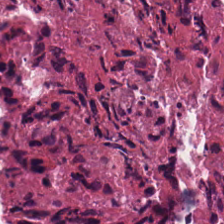Hematoxylin-and-eosin stained section. Predominant tissue: cellular debris.
